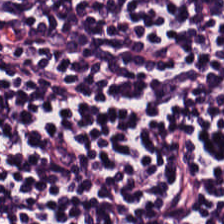Stain: H&E-stained tissue section.
Predominant tissue: lymphoid infiltrate.
